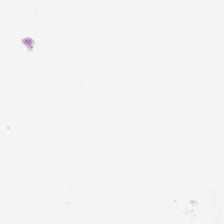Hematoxylin and eosin.
Field content = empty background.
